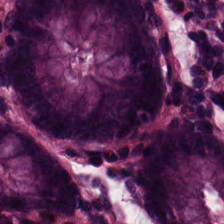H&E patch showing normal colon mucosa.
